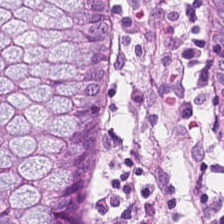Hematoxylin-and-eosin section: normal colon mucosa.
